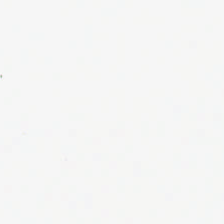The classification is background (no tissue).
